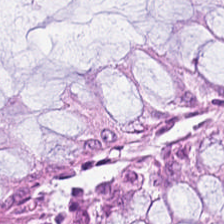Hematoxylin-and-eosin stained section.
The predominant tissue is benign colonic mucosa.
